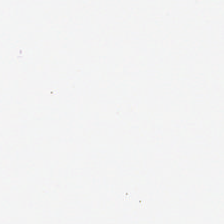H&E-stained tissue section.
Histology → background (no tissue).
